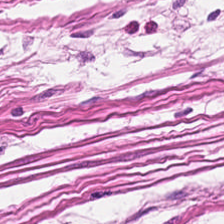H&E-stained tissue section — {"tissue_type": "smooth-muscle tissue"}
